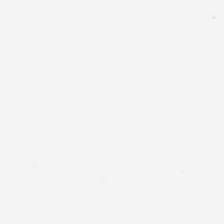H&E-stained tissue section. Formalin-fixed paraffin-embedded section. WSI patch.
Field content: no tissue.
